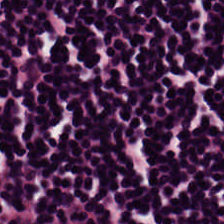FFPE tissue section · H&E-stained tissue section · brightfield. The predominant tissue is lymphocytic infiltrate.
